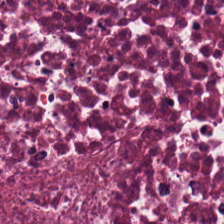FFPE tissue section · hematoxylin-and-eosin stained section — Histology → debris.
